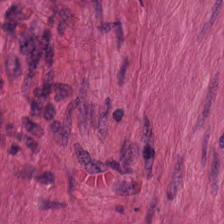224×224 px patch; 20× equivalent magnification; H&E stain.
This field is muscularis.
